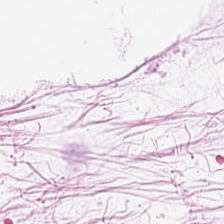Hematoxylin and eosin. {"tissue_type": "adipose tissue"}
